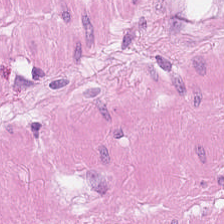224×224 px patch. H&E stain — Tissue type = smooth-muscle tissue.
